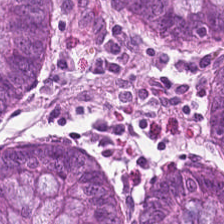H&E.
This field is normal colonic mucosa.
